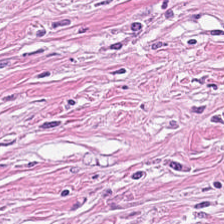WSI patch; H&E.
Predominant tissue — desmoplastic stroma.
